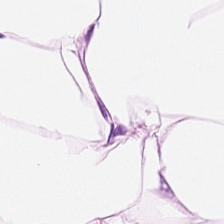0.5 µm per pixel; hematoxylin-and-eosin stained section. Q: What type of tissue is this?
A: It is adipose tissue.
